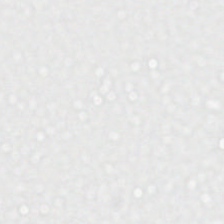WSI patch; hematoxylin-and-eosin stained section. Background — no tissue in this field.
